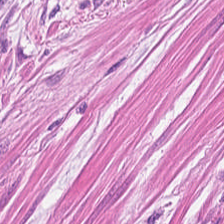Predominantly muscularis.
